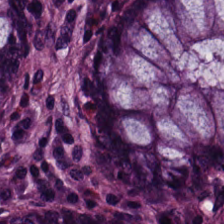Stain: hematoxylin and eosin.
Preparation: FFPE.
Classification: normal colonic mucosa.
